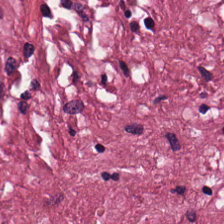WSI patch; hematoxylin and eosin.
Histology → desmoplastic stroma.
